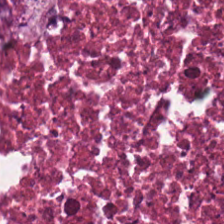Hematoxylin and eosin. Necrotic debris.
